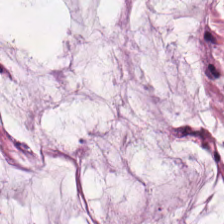0.5 µm/px; hematoxylin and eosin.
Classification — mucin.
